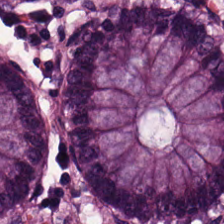This patch shows benign colonic mucosa.
